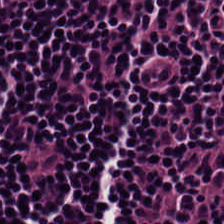FFPE tissue section; hematoxylin and eosin — Tissue class: lymphocytic infiltrate.
